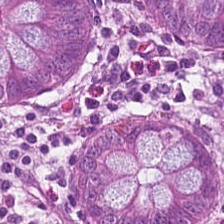224×224 px patch · H&E · FFPE tissue section.
Showing normal colonic mucosa.
